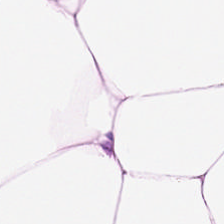Hematoxylin-and-eosin stained section — This patch shows adipocytes.
